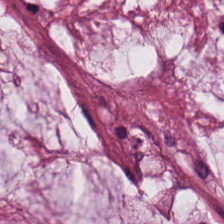The tissue is extracellular mucin.
